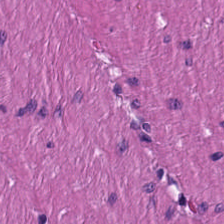Hematoxylin and eosin. Q: What is shown here?
A: Muscularis.
